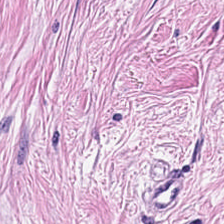Stain: H&E stain.
Resolution: 0.5 µm per pixel.
Tile size: 224×224 px patch.
Predominant tissue: tumor-associated stroma.
